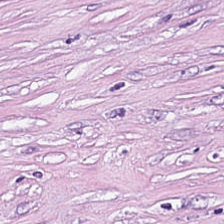Tumor stroma.
